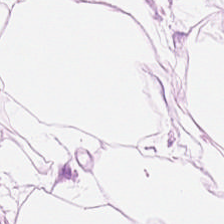WSI patch; 224×224 px tile; hematoxylin-and-eosin stained section.
Q: What is shown here?
A: Fat tissue.
